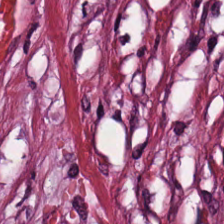H&E stain — This field is tumor stroma.
